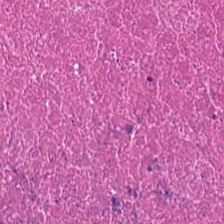H&E-stained tissue section.
Tissue type = cellular debris.
